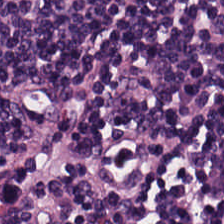H&E — lymphocyte aggregate.
